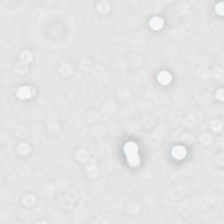H&E stain · WSI patch — Field content: background.
